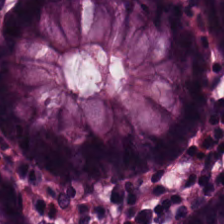Q: What tissue is shown?
A: This is normal colon mucosa.
